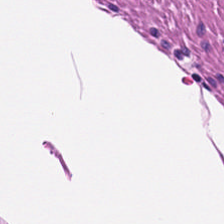Brightfield microscopy; H&E stain; 224×224 px patch — Classification: smooth-muscle tissue.
